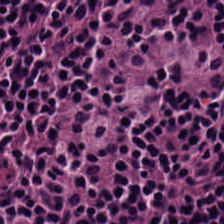Hematoxylin and eosin. 224×224 px tile.
This field is lymphoid infiltrate.
